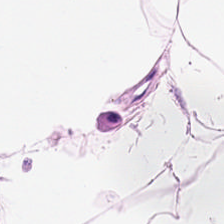H&E stain. 0.5 µm per pixel. Histology — adipocytes.
